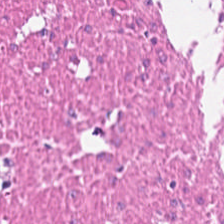Stain: hematoxylin-and-eosin stained section.
Preparation: formalin-fixed paraffin-embedded section.
Predominant tissue: smooth muscle.
